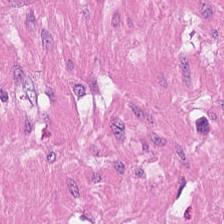Hematoxylin-and-eosin stained section. WSI patch. Muscularis.
